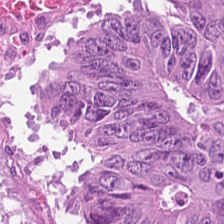FFPE tissue section. Hematoxylin-and-eosin stained section — The tissue here is adenocarcinoma.
